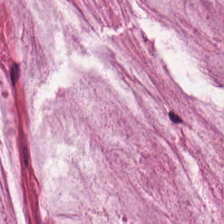H&E stain.
The predominant tissue is mucin.
